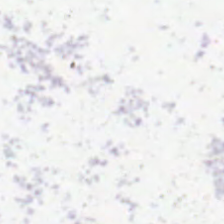224×224 px patch; H&E-stained tissue section.
Empty field — background.
